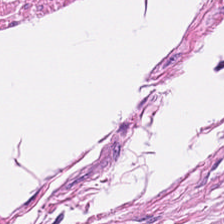Q: What tissue type is shown here?
A: This is smooth muscle.
